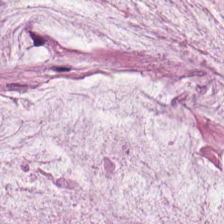H&E-stained section; the field shows mucin.
